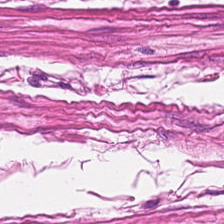H&E stain. Tissue: muscularis.
